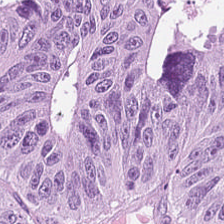H&E-stained tissue section · formalin-fixed paraffin-embedded section — Q: What type of tissue is this?
A: The field shows colorectal adenocarcinoma epithelium.
